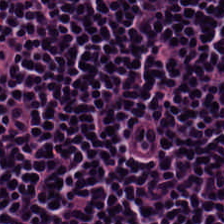0.5 µm/px · H&E.
This field is lymphocytic infiltrate.
